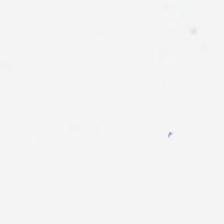H&E-stained tissue section.
Field content — empty background.
